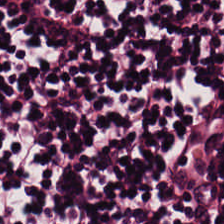224×224 pixel tile. Hematoxylin-and-eosin stained section. Classification — lymphocytes.
